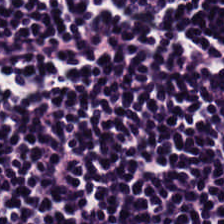H&E stain. Q: What is shown here?
A: This is lymphocyte aggregate.
